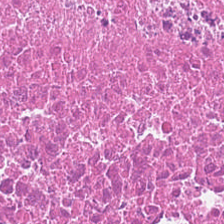Brightfield. H&E-stained tissue section — Showing necrotic debris.
